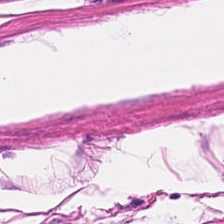Hematoxylin-and-eosin stained section.
The predominant tissue is muscularis.
